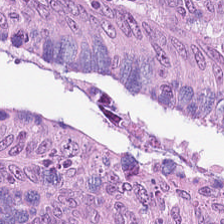H&E. Tissue class = malignant epithelium.
